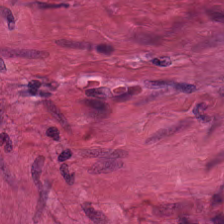Hematoxylin and eosin. The tissue class is smooth-muscle tissue.
